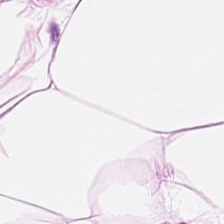H&E stain · whole-slide-image patch.
Fat tissue.
